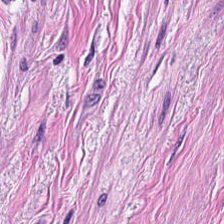Hematoxylin-and-eosin stained section.
This patch shows smooth muscle.
